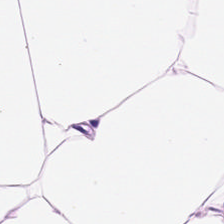Q: What tissue type is shown here?
A: It is adipose tissue.
